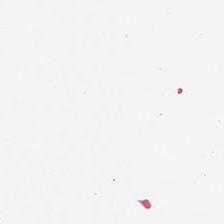This patch shows no tissue.
